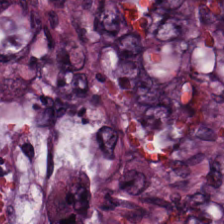Hematoxylin and eosin; 224×224 pixel tile. Tissue type — tumor epithelium.
